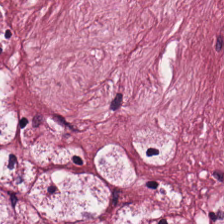H&E-stained tissue section.
Q: What tissue type is shown here?
A: The field shows tumor-associated stroma.
